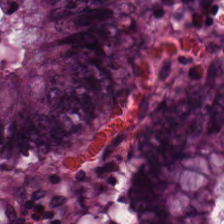H&E; WSI patch; 0.5 µm per pixel — Impression → benign colonic mucosa.
